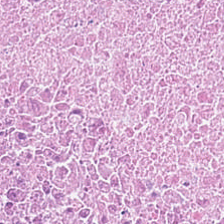H&E stain — The predominant tissue is cellular debris.
